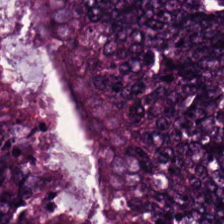H&E. The tissue here is malignant epithelium.
